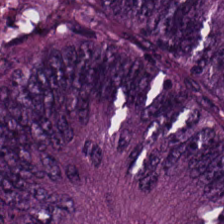H&E stain.
This patch shows colorectal adenocarcinoma epithelium.
